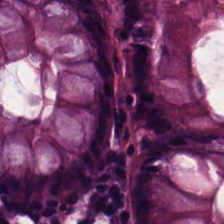Stain: hematoxylin-and-eosin stained section.
Tissue type: non-neoplastic colon mucosa.
